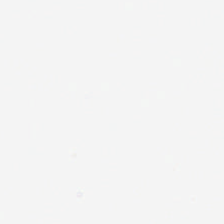Hematoxylin-and-eosin stained section · FFPE · 0.5 µm/px.
Q: What is shown here?
A: It is no tissue.
